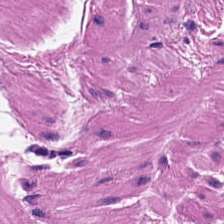Hematoxylin-and-eosin stained section. This patch shows smooth muscle.
